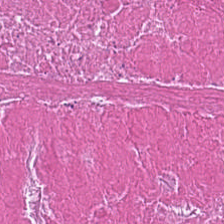Formalin-fixed paraffin-embedded section · 224×224 px tile · hematoxylin and eosin. Q: What tissue is shown?
A: Cellular debris.
